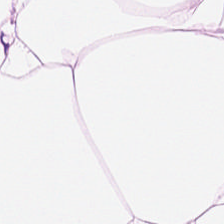FFPE tissue section · hematoxylin and eosin — Showing adipose.
